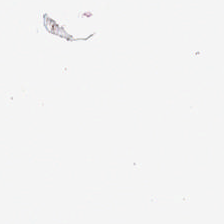H&E stain. 0.5 µm per pixel. This field is background (no tissue).
